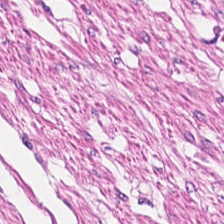Stain: hematoxylin-and-eosin stained section.
Tile size: 224×224 px patch.
Resolution: 0.5 µm per pixel.
Predominant tissue: smooth muscle.
